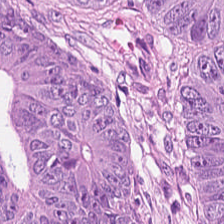This field is adenocarcinoma.
